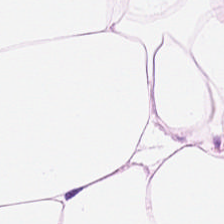Showing adipocytes.
